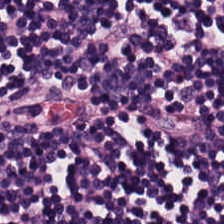Tissue: lymphocytic infiltrate.
